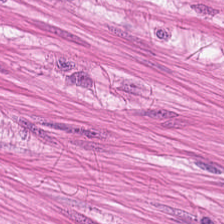{"tissue_type": "smooth-muscle tissue"}
